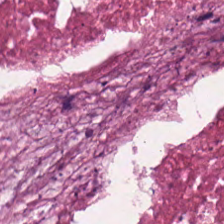Histology — cellular debris.
